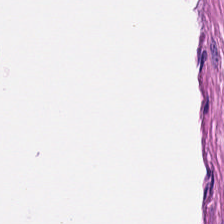H&E — {"tissue_type": "smooth-muscle tissue"}
